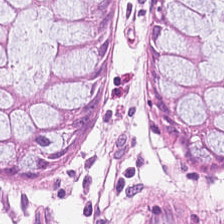Stain: H&E-stained tissue section.
Preparation: FFPE tissue section.
Predominant tissue: normal colonic mucosa.
